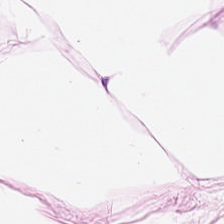The tissue is adipose tissue.
